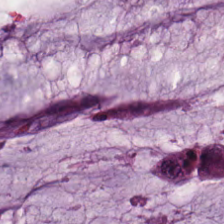H&E — Tissue class = extracellular mucin.
